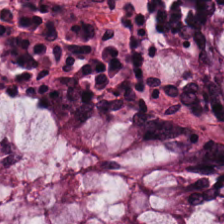FFPE tissue section · H&E · whole-slide-image patch.
The tissue here is normal colonic mucosa.
